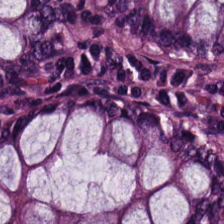Hematoxylin and eosin. Tissue = benign colonic mucosa.
